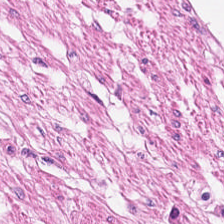H&E-stained section; the field shows muscularis.
